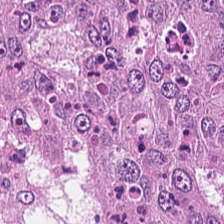H&E — Tissue type: tumor epithelium.
